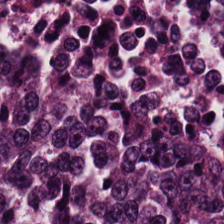224×224 px tile · H&E. Tissue type: malignant epithelium.
